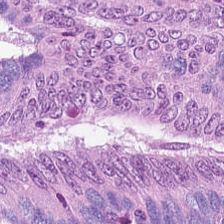Hematoxylin-and-eosin stained section; 0.5 µm/px — Q: Classify this patch.
A: Malignant epithelium.
